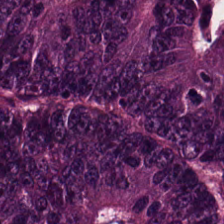Q: What tissue type is shown here?
A: This is adenocarcinoma.
